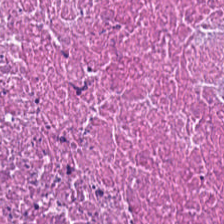Tissue type — debris.
